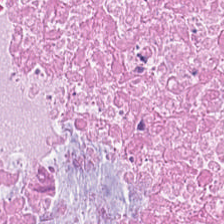H&E — Debris.
